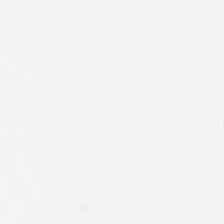WSI patch; H&E.
No tissue.
